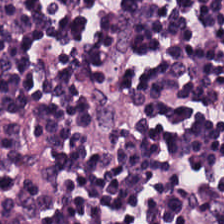0.5 µm/px; H&E-stained tissue section.
Q: Identify the tissue.
A: This is lymphocytic infiltrate.
